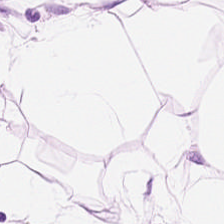Stain: hematoxylin and eosin.
Tile size: 224×224 pixel tile.
Tissue: adipocytes.
